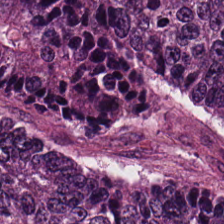H&E-stained tissue section. Malignant epithelium.
